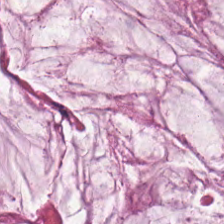H&E — Histology — mucus.
